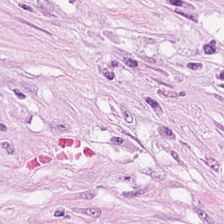Stain: H&E.
Tile size: 224×224 px patch.
Predominant tissue: cancer-associated stroma.
